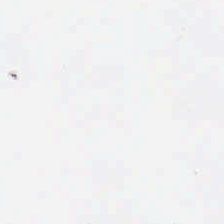Classification = empty background.
